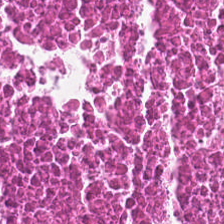FFPE · 0.5 µm per pixel · H&E-stained tissue section.
Showing debris.
